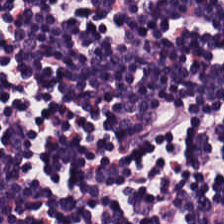H&E. Formalin-fixed paraffin-embedded section. 224×224 px tile — This patch shows lymphoid infiltrate.
